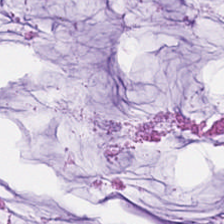Hematoxylin and eosin. Tissue class = extracellular mucin.
